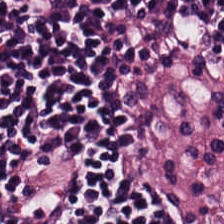Hematoxylin-and-eosin stained section — Finding → lymphocytic infiltrate.
